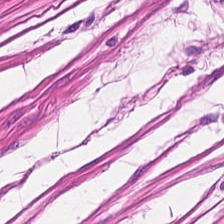Hematoxylin and eosin — The classification is smooth-muscle tissue.
